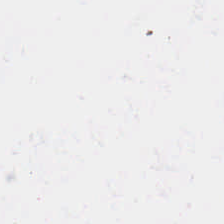H&E. Brightfield.
The field content is empty background.
